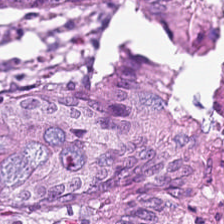Hematoxylin and eosin; whole-slide-image patch; 224×224 px tile — Tissue: normal colon mucosa.
